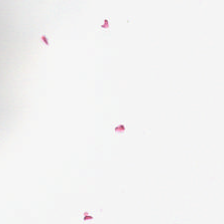H&E stain — No tissue.
